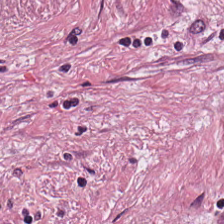H&E-stained tissue section showing tumor stroma.
